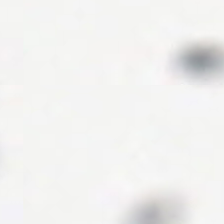224×224 px tile · hematoxylin-and-eosin stained section · brightfield microscopy. Empty background.
